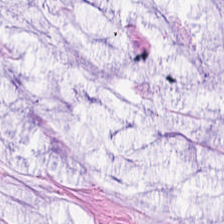Stain: hematoxylin-and-eosin stained section.
Preparation: formalin-fixed paraffin-embedded section.
Tissue class: mucus.
